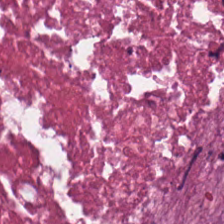Stain: H&E.
Acquisition: brightfield.
Tissue class: cellular debris.
